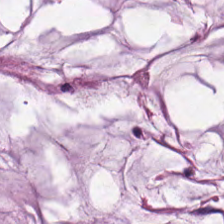H&E.
{"tissue_type": "extracellular mucin"}
